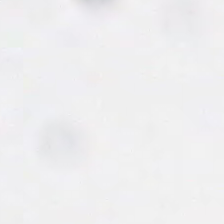H&E. FFPE.
Q: Classify this patch.
A: No tissue.
